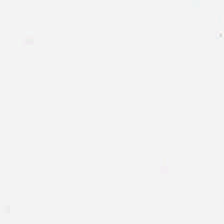Stain: H&E stain.
Content: background.
